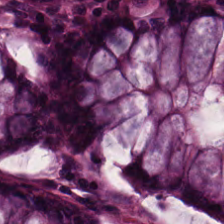Hematoxylin-and-eosin stained section. FFPE tissue section — Q: What type of tissue is this?
A: Benign colonic mucosa.
